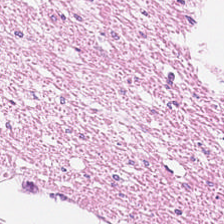H&E — muscularis.
